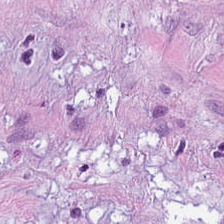H&E. WSI patch.
Cancer-associated stroma.
